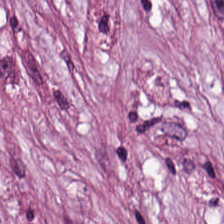Hematoxylin and eosin.
Predominantly tumor-associated stroma.
